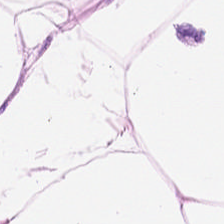224×224 px patch · 0.5 µm/px · hematoxylin and eosin. Showing adipocytes.
